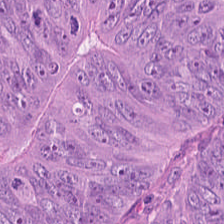H&E-stained tissue section; brightfield microscopy — Impression → malignant epithelium.
